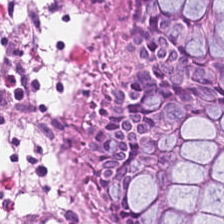Hematoxylin-and-eosin stained section.
The tissue here is normal colonic mucosa.
